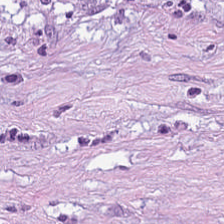H&E-stained tissue section. This patch shows tumor-associated stroma.
